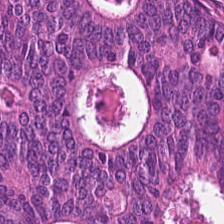H&E · 0.5 µm per pixel.
Q: What is the predominant tissue type?
A: Colorectal adenocarcinoma.
